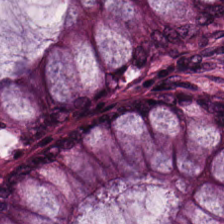Hematoxylin and eosin. 0.5 µm/px. This patch shows normal colonic mucosa.
